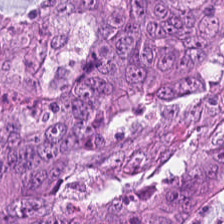0.5 microns per pixel · WSI patch · hematoxylin-and-eosin stained section. The tissue here is adenocarcinoma.
